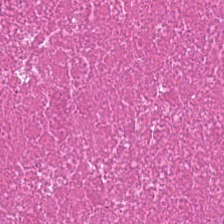Brightfield microscopy; hematoxylin-and-eosin stained section — Predominantly debris.
